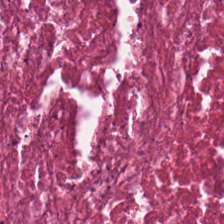H&E stain. Classification — debris.
